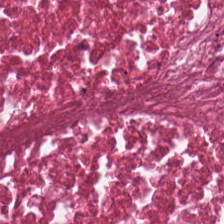Hematoxylin-and-eosin stained section. Tissue type = debris.
